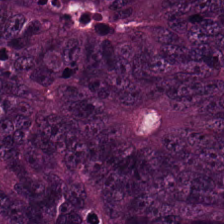Hematoxylin-and-eosin stained section — The tissue class is malignant epithelium.
